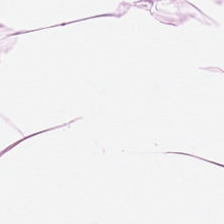H&E-stained tissue section — Tissue — fat tissue.
